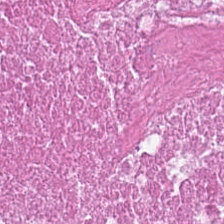20× equivalent magnification. H&E. Predominant tissue: cellular debris.
